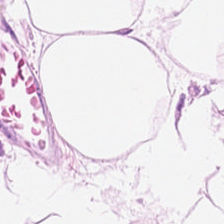Q: What is the predominant tissue type?
A: This is adipose tissue.
